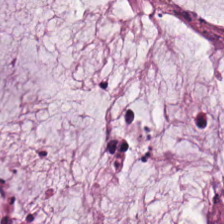Hematoxylin and eosin; 224×224 px tile; 0.5 µm/px. Q: What is shown here?
A: Extracellular mucin.
